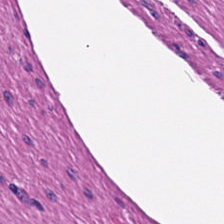Hematoxylin-and-eosin stained section — Tissue = muscularis.
